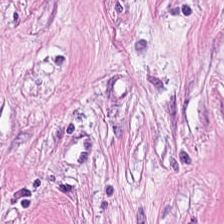Hematoxylin-and-eosin stained section — Q: What tissue type is shown here?
A: It is tumor stroma.
